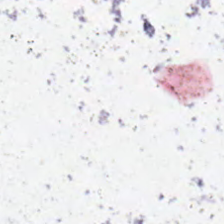Stain: H&E.
Field content: background.
